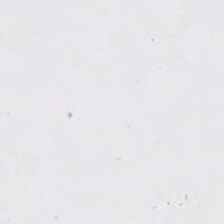H&E stain; 0.5 µm per pixel; 224×224 px patch — The field content is background (no tissue).
